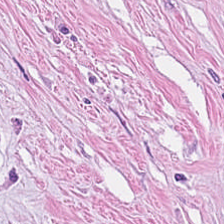Stain: H&E-stained tissue section.
Tissue class: desmoplastic stroma.
